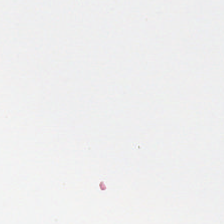H&E.
This patch shows no tissue.
